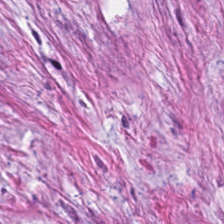224×224 px patch. Hematoxylin and eosin.
Tissue class = desmoplastic stroma.
